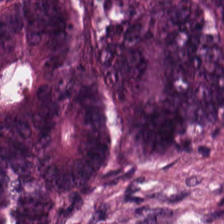Hematoxylin-and-eosin section: malignant epithelium.
